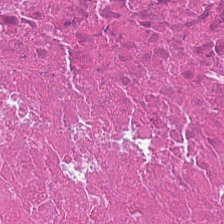WSI patch · hematoxylin and eosin — Tissue: necrotic debris.
